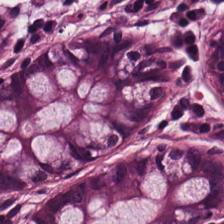Classification — non-neoplastic colon mucosa.
